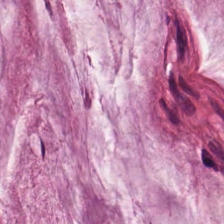Stain: H&E.
Tissue type: mucus.
